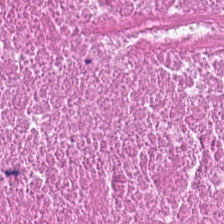0.5 µm per pixel; H&E-stained tissue section; formalin-fixed paraffin-embedded section.
Impression → debris.
